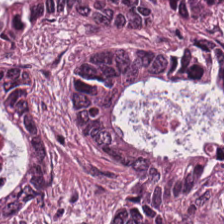Stain: H&E.
Preparation: FFPE tissue section.
Classification: malignant epithelium.
